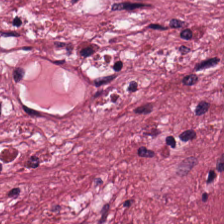H&E stain. This patch shows desmoplastic stroma.
